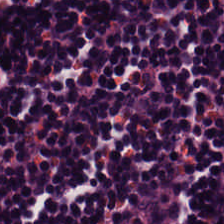Hematoxylin and eosin · 20× equivalent magnification.
Q: What tissue is shown?
A: The field shows lymphocyte aggregate.
